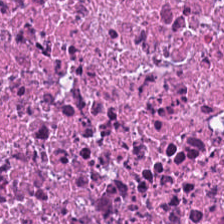0.5 µm per pixel · hematoxylin and eosin — The tissue here is necrotic debris.
